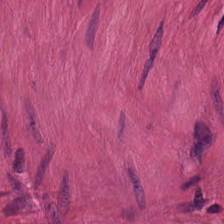H&E stain. Finding → smooth-muscle tissue.
